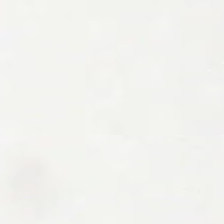0.5 µm per pixel · hematoxylin and eosin · 224×224 px tile. No tissue.
